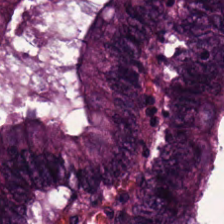H&E stain — {"tissue_type": "malignant epithelium"}
